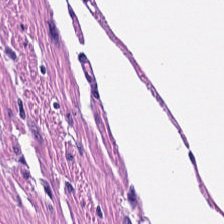H&E-stained section; the field shows smooth-muscle tissue.
